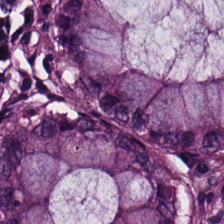H&E-stained tissue section. Tissue class: normal colonic mucosa.
